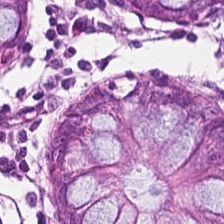H&E stain. 20× equivalent magnification — Q: Identify the tissue.
A: The field shows non-neoplastic colon mucosa.
